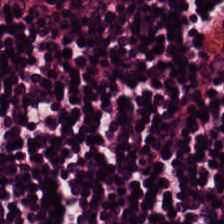H&E-stained tissue section; 224×224 px patch.
The tissue here is lymphocyte aggregate.
